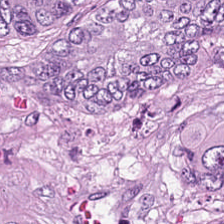H&E · whole-slide-image patch.
Adenocarcinoma.
